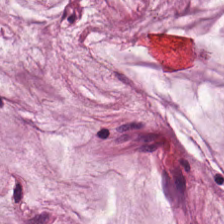Stain: H&E-stained tissue section.
Classification: mucus.
